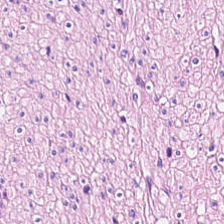H&E stain. This patch shows smooth-muscle tissue.
